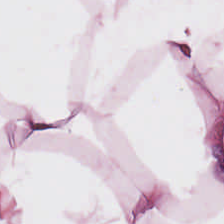Stain: H&E-stained tissue section.
Tissue: adipose.
